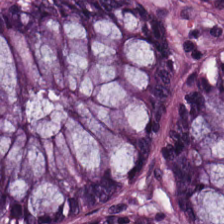Hematoxylin-and-eosin stained section — Q: Identify the tissue.
A: This is benign colonic mucosa.
